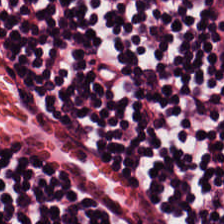Hematoxylin and eosin. Q: Classify this patch.
A: Lymphocytic infiltrate.
